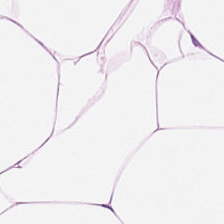Hematoxylin and eosin.
Showing adipocytes.
